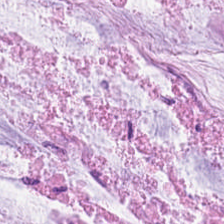H&E stain · 0.5 µm/px — Tissue: extracellular mucin.
